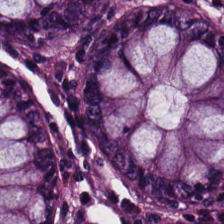0.5 µm per pixel. H&E-stained tissue section — {"tissue_type": "normal colon mucosa"}
